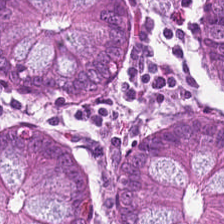Stain: hematoxylin-and-eosin stained section.
Predominant tissue: normal colon mucosa.
